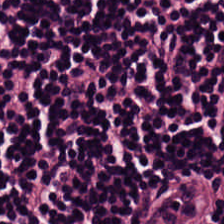This field is lymphoid infiltrate.
